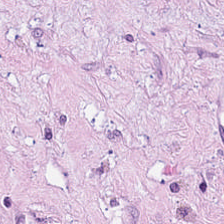Hematoxylin-and-eosin stained section. 224×224 px patch — Classification = cancer-associated stroma.
